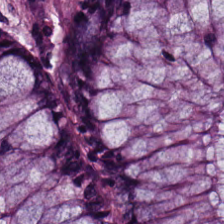Q: What tissue type is shown here?
A: Benign colonic mucosa.
